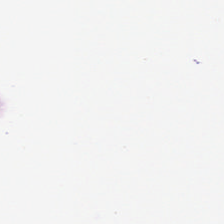Stain: H&E.
Field content: background (no tissue).
